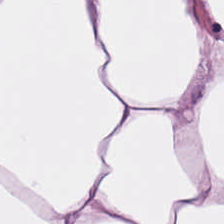H&E stain. 20× equivalent magnification. Q: What type of tissue is this?
A: Adipose.
